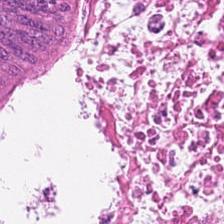H&E-stained tissue section. Brightfield — The tissue here is adenocarcinoma.
